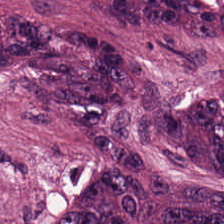H&E.
Q: What is shown here?
A: This is tumor epithelium.
